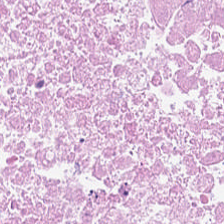Predominantly necrotic debris.
